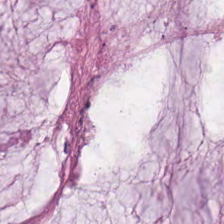{"tissue_type": "extracellular mucin"}
